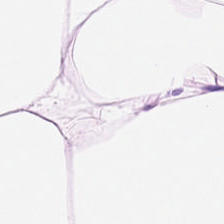Stain: H&E.
Predominant tissue: fat tissue.
